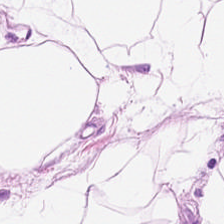H&E stain. Finding → adipose tissue.
